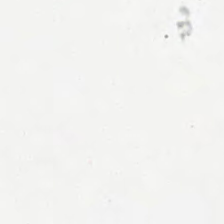H&E-stained tissue section.
This patch shows empty background.
